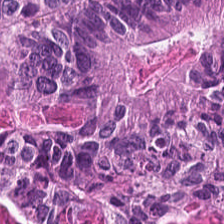H&E-stained tissue section. {"tissue_type": "malignant epithelium"}
